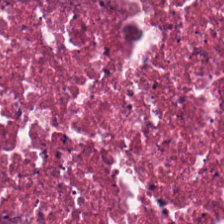Q: What is shown here?
A: It is necrotic debris.
